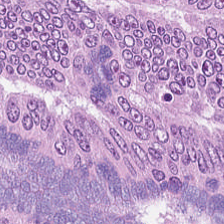H&E stain.
Predominantly adenocarcinoma.
